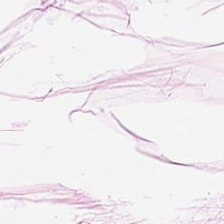H&E. 224×224 px tile. Adipose tissue.
